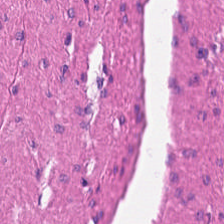{"tissue_type": "smooth-muscle tissue"}
